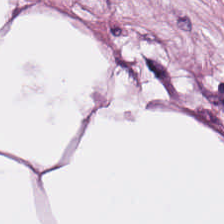H&E.
The predominant tissue is adipose.
